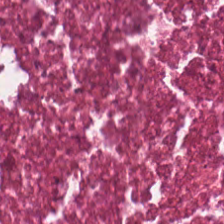H&E · 224×224 px patch — Tissue class: necrotic debris.
